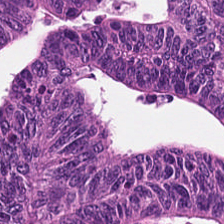Stain: H&E.
Acquisition: WSI patch.
Tile size: 224×224 px tile.
Tissue type: malignant epithelium.
